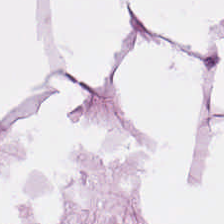H&E stain. Adipose.
